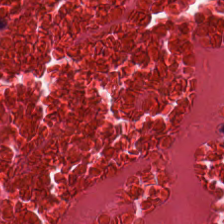H&E.
Histology — necrotic debris.
